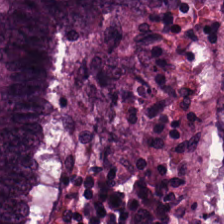224×224 pixel tile; H&E stain — {"tissue_type": "malignant epithelium"}
